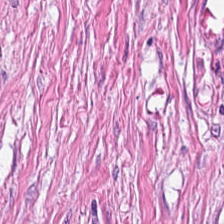Tissue = tumor-associated stroma.
